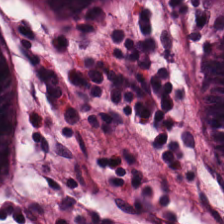H&E-stained tissue section.
Q: Classify this patch.
A: This is normal colon mucosa.
